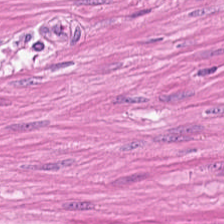H&E-stained tissue section; brightfield — Showing smooth-muscle tissue.
